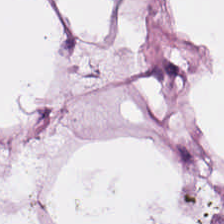H&E stain. {"tissue_type": "adipocytes"}
